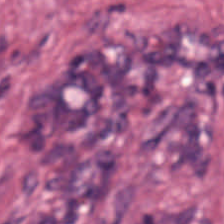H&E · 0.5 microns per pixel. Showing tumor stroma.
